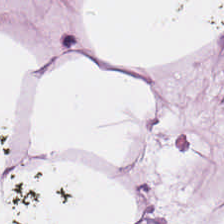0.5 µm per pixel; H&E-stained tissue section; FFPE — This field is adipocytes.
